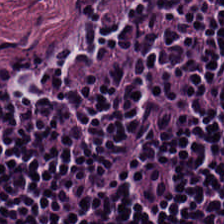0.5 µm per pixel; H&E; formalin-fixed paraffin-embedded section. This patch shows lymphoid infiltrate.
